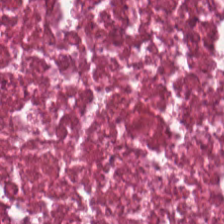H&E stain — The predominant tissue is necrotic debris.
